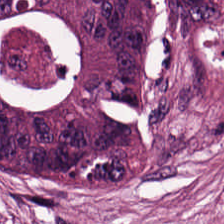Hematoxylin-and-eosin stained section. Q: What is shown in this field?
A: It is colorectal adenocarcinoma.
